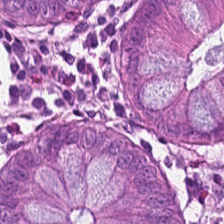The classification is normal colonic mucosa.
